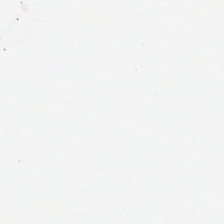Classification: empty background.
